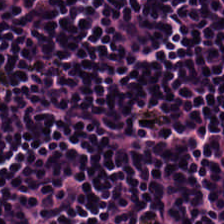H&E.
The tissue is lymphocytic infiltrate.
